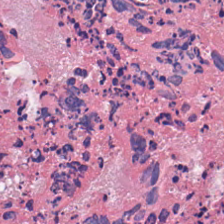This field is necrotic debris.
